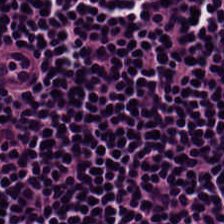Hematoxylin-and-eosin stained section — Histology — lymphocyte aggregate.
